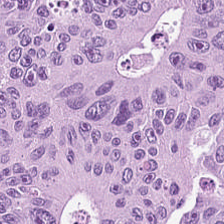Stain: hematoxylin and eosin.
Tissue class: adenocarcinoma.
